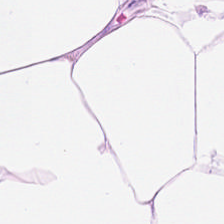H&E stain · 224×224 pixel tile.
Tissue class: fat tissue.
